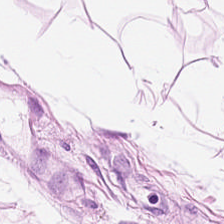Showing adipose tissue.
